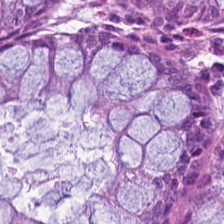Predominantly normal colon mucosa.
